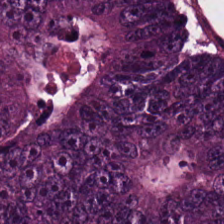H&E. Q: What does this patch show?
A: This is colorectal adenocarcinoma.
